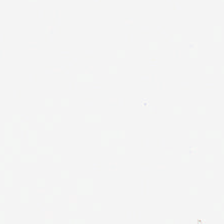H&E-stained tissue section.
This patch shows background.
